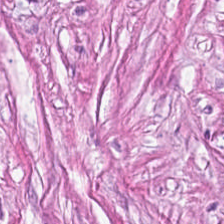This patch shows tumor-associated stroma.
